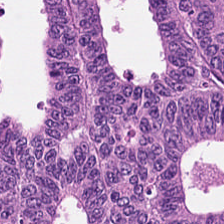FFPE tissue section; H&E-stained tissue section; 224×224 px patch — Malignant epithelium.
